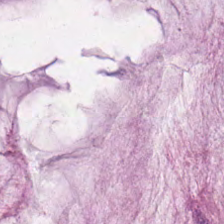H&E. The classification is mucin.
